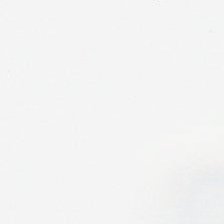Field content — background.
